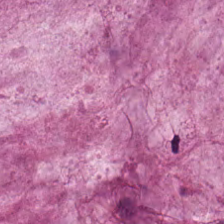Stain: hematoxylin-and-eosin stained section.
Tissue type: mucus.
